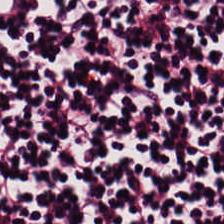Stain: H&E-stained tissue section.
Tissue class: lymphocytic infiltrate.
